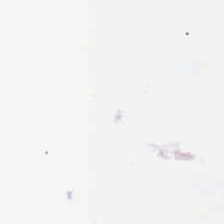Q: What does this patch show?
A: This is no tissue.
